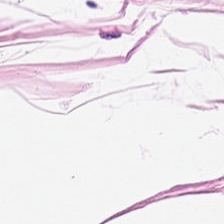0.5 µm per pixel · H&E stain. Showing adipose tissue.
